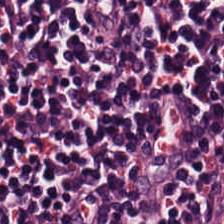H&E-stained tissue section; whole-slide-image patch. Classification = lymphocytes.
